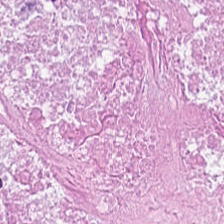0.5 microns per pixel · formalin-fixed paraffin-embedded section · hematoxylin and eosin.
Predominantly cellular debris.
